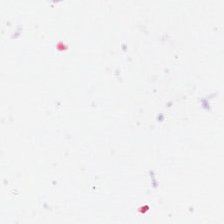Hematoxylin-and-eosin stained section.
Q: What does this patch show?
A: It is background (no tissue).
